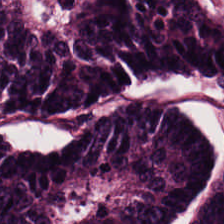H&E stain.
This field is colorectal adenocarcinoma.
